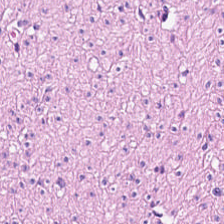H&E stain. Predominantly smooth muscle.
